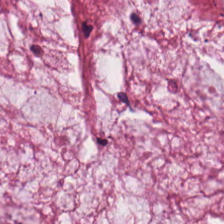H&E-stained tissue section.
Q: Classify this patch.
A: The field shows mucin.
